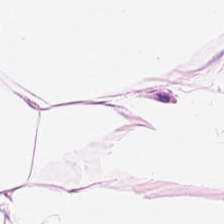Predominant tissue: adipocytes.
